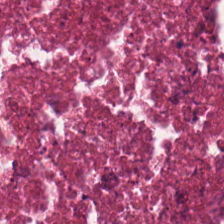Hematoxylin-and-eosin stained section · formalin-fixed paraffin-embedded section.
The predominant tissue is necrotic debris.
